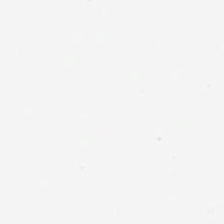Stain: H&E-stained tissue section.
Field content: no tissue.
